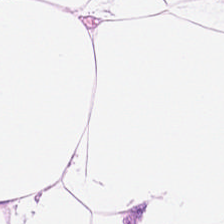Hematoxylin-and-eosin stained section. 224×224 pixel tile.
{"tissue_type": "adipose"}
